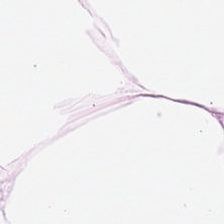H&E stain. Q: What type of tissue is this?
A: It is adipocytes.
